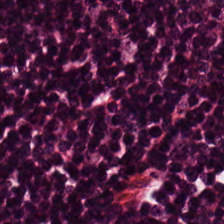Stain: H&E-stained tissue section.
Classification: lymphocytes.
